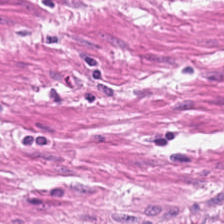0.5 µm per pixel; formalin-fixed paraffin-embedded section; hematoxylin and eosin. Predominantly smooth-muscle tissue.
